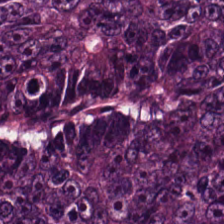0.5 µm/px. Hematoxylin and eosin. This patch shows tumor epithelium.
